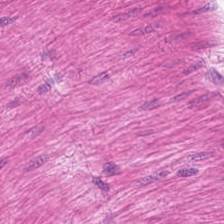H&E stain.
Predominant tissue = smooth-muscle tissue.
